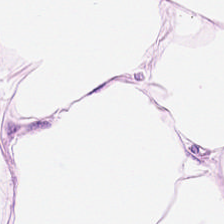Hematoxylin and eosin. Showing fat tissue.
